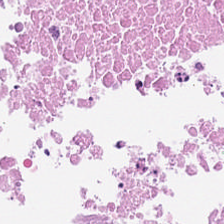0.5 microns per pixel · H&E-stained tissue section. Predominantly cellular debris.
